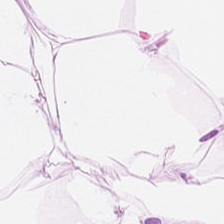0.5 microns per pixel. Hematoxylin-and-eosin stained section. Q: What tissue is shown?
A: Adipose.
